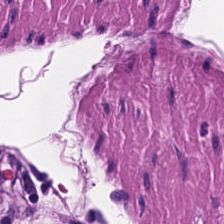Hematoxylin and eosin. Showing smooth-muscle tissue.
